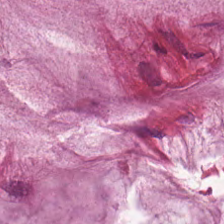Q: What does this patch show?
A: Mucin.
